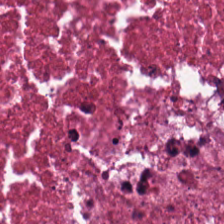Stain: hematoxylin and eosin.
Tissue: necrotic debris.
